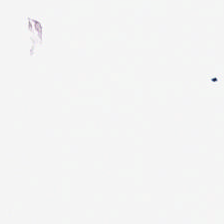H&E stain.
Content — background (no tissue).
